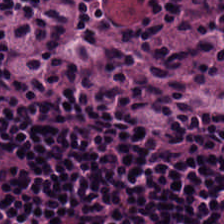224×224 px patch. H&E-stained tissue section. WSI patch.
Q: What is shown in this field?
A: Lymphoid infiltrate.
